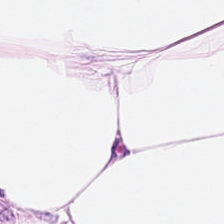20× equivalent magnification · H&E stain — Tissue = adipocytes.
